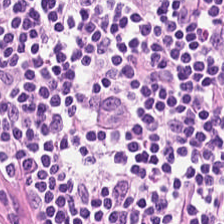H&E · 224×224 px tile — This field is lymphocytic infiltrate.
